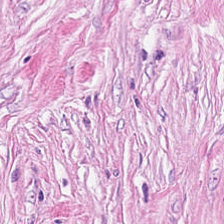Tissue class — desmoplastic stroma.
